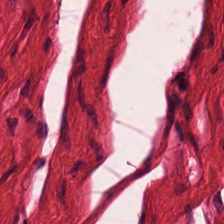Muscularis.
